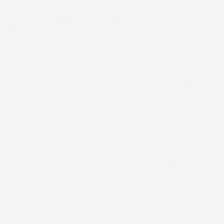Field content: empty background.
